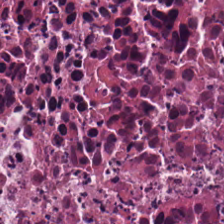Stain: H&E-stained tissue section.
Predominant tissue: debris.
